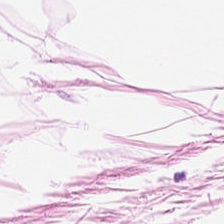Hematoxylin and eosin. The tissue here is adipocytes.
